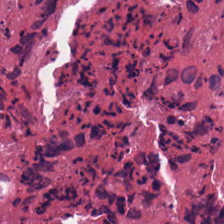H&E-stained tissue section. 224×224 px tile. Classification = necrotic debris.
